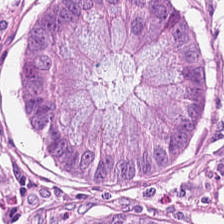Hematoxylin and eosin. Q: What tissue type is shown here?
A: It is normal colon mucosa.
